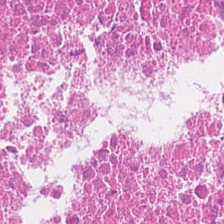H&E — The tissue here is debris.
